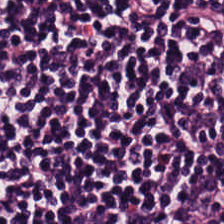Finding → lymphocyte aggregate.
